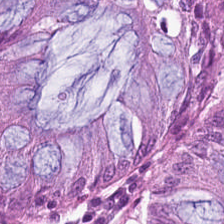H&E-stained tissue section.
The tissue type is benign colonic mucosa.
